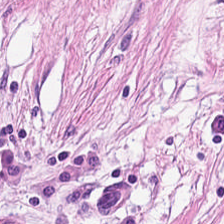H&E stain. Histology → tumor-associated stroma.
